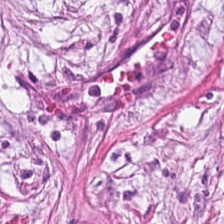FFPE. Hematoxylin and eosin. 224×224 px tile. Tissue = cancer-associated stroma.
